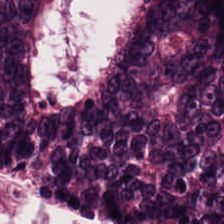Tissue type: malignant epithelium.
